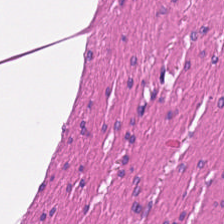Stain: H&E.
Tissue: smooth muscle.
